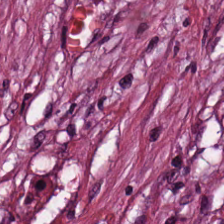Stain: hematoxylin and eosin.
Resolution: 0.5 microns per pixel.
Classification: tumor stroma.
